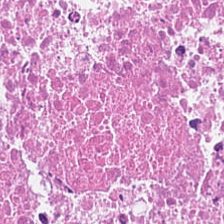Stain: H&E.
Classification: necrotic debris.
